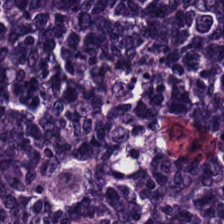The predominant tissue is lymphocytic infiltrate.
